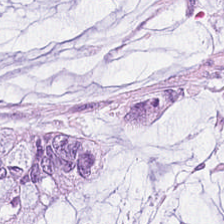{"tissue_type": "mucin"}
